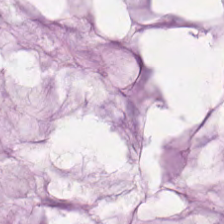H&E · WSI patch.
Finding — mucus.
